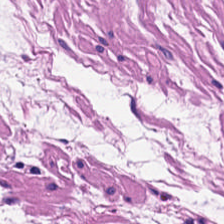H&E. Q: What does this patch show?
A: The field shows smooth muscle.
